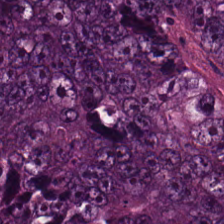Tissue type — malignant epithelium.
